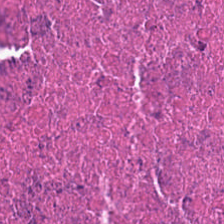Hematoxylin and eosin — Impression → necrotic debris.
